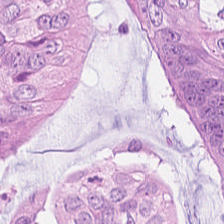This patch shows colorectal adenocarcinoma epithelium.
